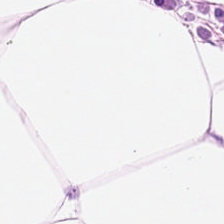Classification — adipose.
